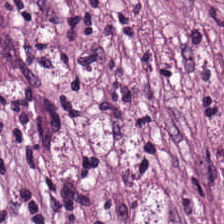H&E — Histology — tumor-associated stroma.
